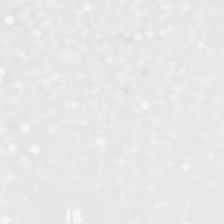H&E-stained tissue section.
Classification: background (no tissue).
